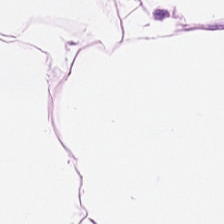H&E.
Predominantly adipose.
